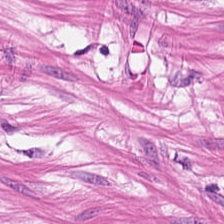H&E.
Q: What is shown in this field?
A: The field shows smooth muscle.
